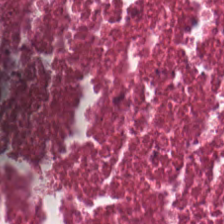Stain: hematoxylin-and-eosin stained section.
Preparation: formalin-fixed paraffin-embedded section.
Classification: debris.
